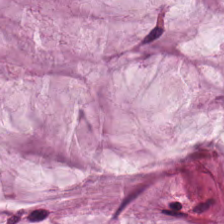Hematoxylin-and-eosin stained section; FFPE. The predominant tissue is mucus.
